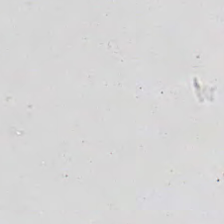H&E-stained tissue section. 224×224 px patch.
Content: no tissue.
